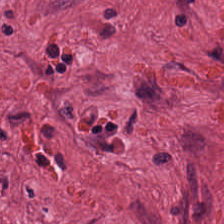H&E-stained tissue section showing tumor stroma.
